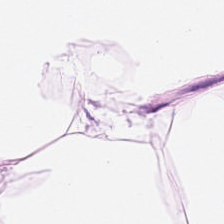H&E-stained tissue section — This patch shows adipose tissue.
